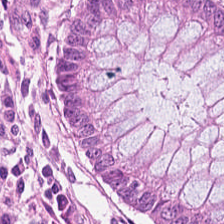Finding — normal colon mucosa.
